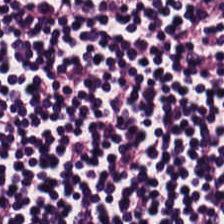The tissue class is lymphocytes.
